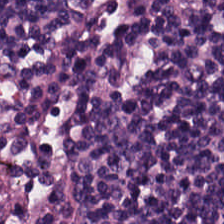Stain: H&E.
Tissue: lymphocytes.
